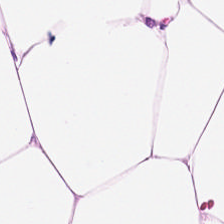H&E-stained tissue section.
Q: What tissue is shown?
A: The field shows fat tissue.
